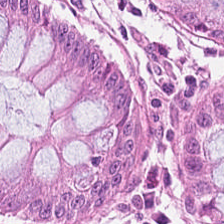Q: What tissue type is shown here?
A: This is normal colonic mucosa.
